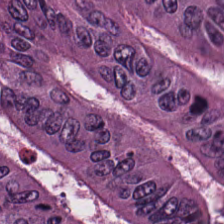The classification is malignant epithelium.
